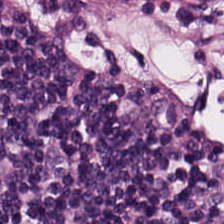Hematoxylin-and-eosin stained section · FFPE · 0.5 microns per pixel.
{"tissue_type": "lymphocyte aggregate"}
